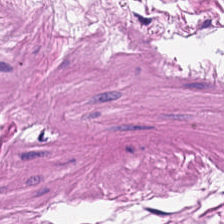Formalin-fixed paraffin-embedded section. 0.5 µm per pixel. Hematoxylin-and-eosin stained section. This patch shows smooth muscle.
